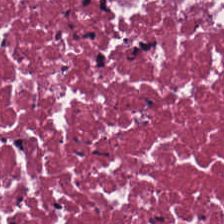Hematoxylin-and-eosin stained section.
{"tissue_type": "necrotic debris"}
